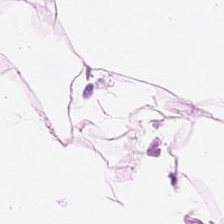This patch shows adipose.
